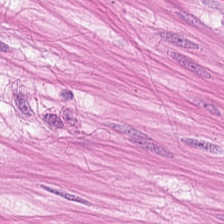H&E-stained tissue section — Predominantly muscularis.
